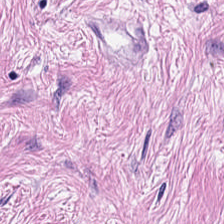Hematoxylin and eosin. This field is tumor stroma.
